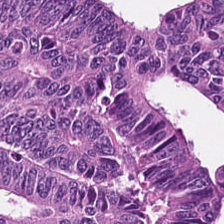Hematoxylin and eosin; 224×224 px patch. The classification is adenocarcinoma.
